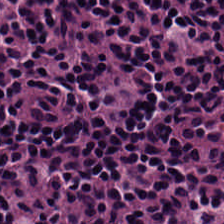0.5 microns per pixel. FFPE. Hematoxylin-and-eosin stained section — Q: What does this patch show?
A: It is lymphocytes.
